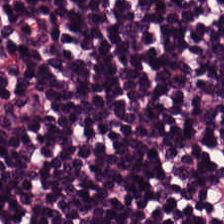Brightfield microscopy. 0.5 µm/px. Hematoxylin-and-eosin stained section. The tissue type is lymphocytic infiltrate.
